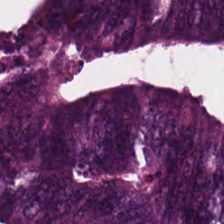H&E. Whole-slide-image patch — Predominant tissue = malignant epithelium.
